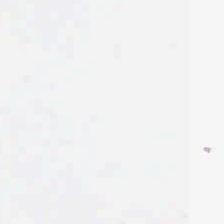224×224 px patch; hematoxylin-and-eosin stained section.
No tissue present; background only.
